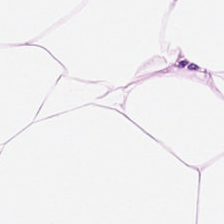H&E-stained tissue section — Predominantly adipose.
